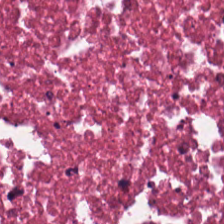Stain: hematoxylin-and-eosin stained section.
Acquisition: brightfield microscopy.
Preparation: formalin-fixed paraffin-embedded section.
Tissue type: cellular debris.
